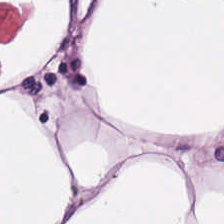Whole-slide-image patch. Hematoxylin-and-eosin stained section — Predominantly fat tissue.
